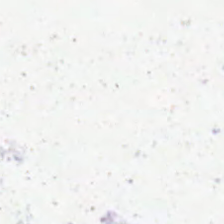Stain: H&E.
Preparation: FFPE tissue section.
Acquisition: WSI patch.
Field content: background.
